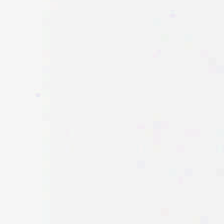H&E stain. FFPE.
No tissue.
